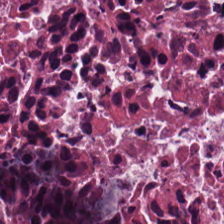Hematoxylin and eosin.
Impression — cellular debris.
